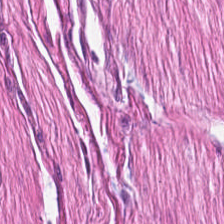Tissue type = muscularis.
